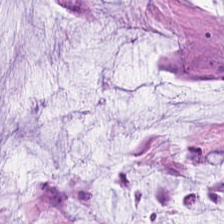Hematoxylin-and-eosin stained section.
Q: What type of tissue is this?
A: Mucus.
